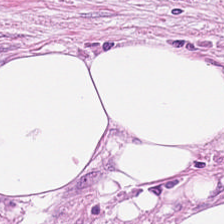H&E-stained tissue section — Q: What is shown here?
A: This is tumor stroma.
